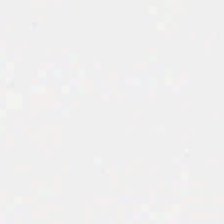Background.
